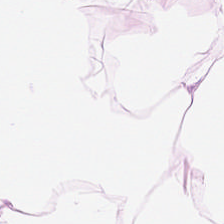H&E stain. Tissue type — adipose.
